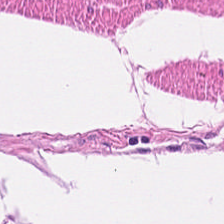WSI patch; hematoxylin-and-eosin stained section.
Showing smooth muscle.
